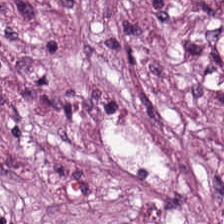H&E-stained tissue section — The predominant tissue is tumor-associated stroma.
